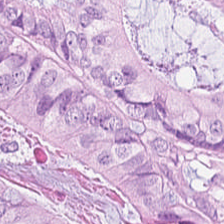20× equivalent magnification; H&E stain; 224×224 px patch.
The predominant tissue is adenocarcinoma.
